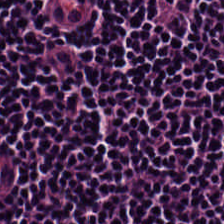0.5 µm/px. H&E. The predominant tissue is lymphocytes.
